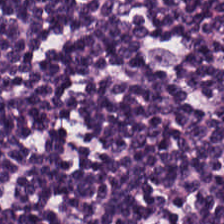Q: What is shown here?
A: Lymphocytes.
